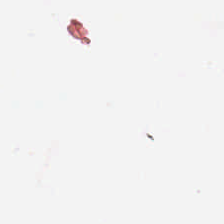Whole-slide-image patch · H&E stain · 20× equivalent magnification — Background.
